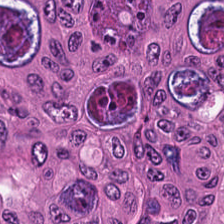H&E stain — Q: Classify this patch.
A: This is malignant epithelium.
